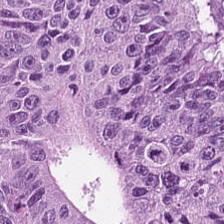224×224 px patch · brightfield microscopy · H&E stain. The tissue here is colorectal adenocarcinoma.
